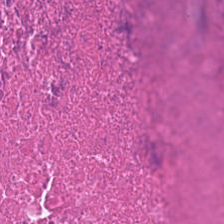Stain: H&E.
Acquisition: brightfield.
Classification: debris.
